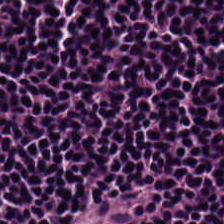224×224 pixel tile. Brightfield. Hematoxylin and eosin — Predominant tissue = lymphoid infiltrate.
